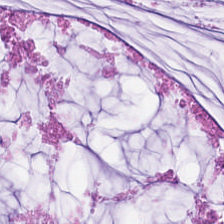224×224 pixel tile. FFPE. Hematoxylin-and-eosin stained section.
The classification is extracellular mucin.
